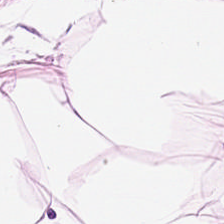Tissue class — adipocytes.
